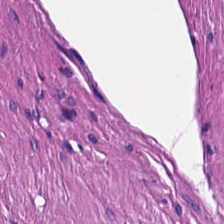Q: What is the predominant tissue type?
A: It is smooth muscle.
